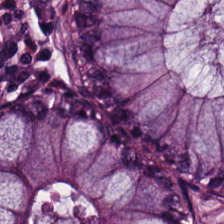Hematoxylin and eosin.
The tissue here is normal colon mucosa.
